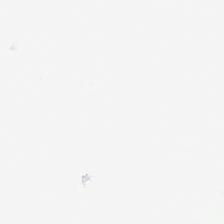Q: What is shown in this field?
A: This is background.
